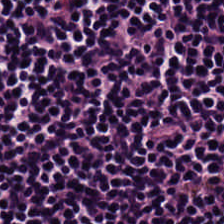Tissue — lymphocytic infiltrate.
